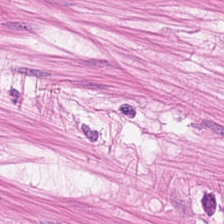Hematoxylin and eosin. Impression — smooth-muscle tissue.
